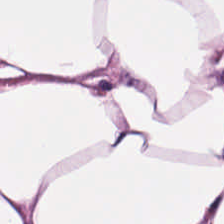H&E-stained tissue section. Tissue class — adipocytes.
